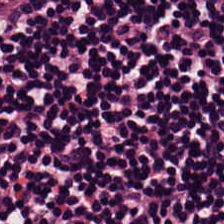Brightfield · hematoxylin-and-eosin stained section. The tissue type is lymphocyte aggregate.
